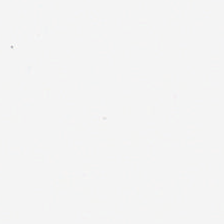H&E stain · 0.5 microns per pixel · brightfield microscopy. Field content = no tissue.
